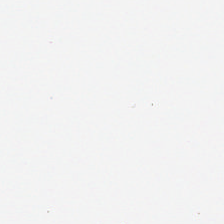H&E stain — No tissue present; background only.
